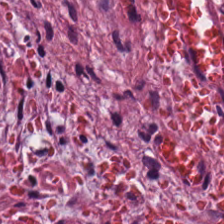Hematoxylin-and-eosin stained section. Q: Classify this patch.
A: The field shows desmoplastic stroma.
